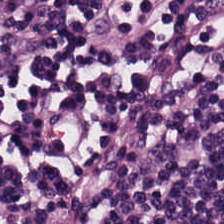Hematoxylin and eosin; 20× equivalent magnification. Lymphocytes.
